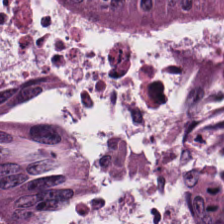H&E-stained tissue section. Predominant tissue — malignant epithelium.
